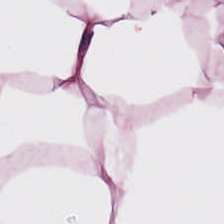224×224 px tile · formalin-fixed paraffin-embedded section · hematoxylin and eosin.
The predominant tissue is adipose.
